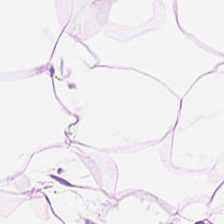Stain: H&E stain.
Tissue type: fat tissue.
